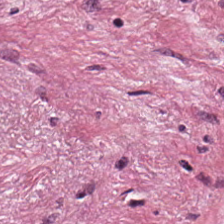Whole-slide-image patch; H&E — Tissue — cancer-associated stroma.
